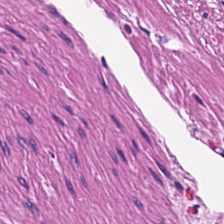Hematoxylin and eosin. Impression — smooth-muscle tissue.
